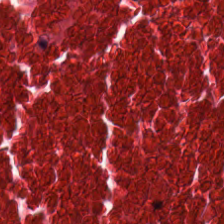Brightfield; hematoxylin-and-eosin stained section.
Showing cellular debris.
